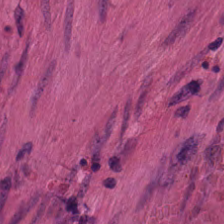H&E-stained section; the field shows smooth muscle.
